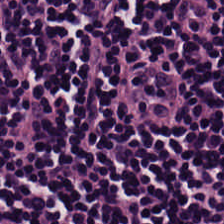H&E-stained tissue section. Formalin-fixed paraffin-embedded section. 224×224 px patch. The tissue here is lymphoid infiltrate.
